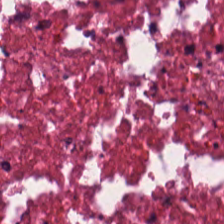The classification is necrotic debris.
